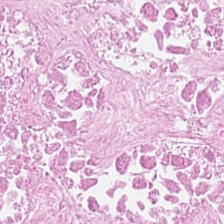H&E patch showing necrotic debris.
